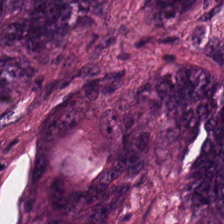Hematoxylin and eosin — Q: Identify the tissue.
A: Colorectal adenocarcinoma.
